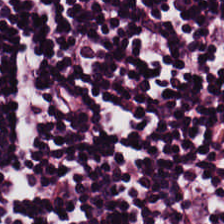224×224 pixel tile. H&E-stained tissue section. Brightfield. {"tissue_type": "lymphocyte aggregate"}
